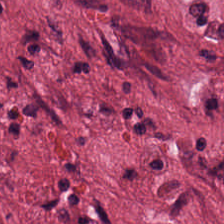H&E.
Histology — desmoplastic stroma.
